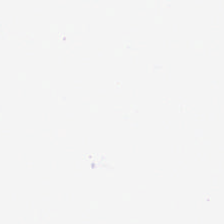H&E-stained tissue section — Field content = empty background.
